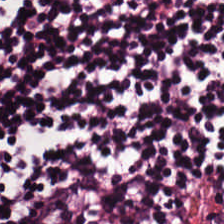Tissue type — lymphoid infiltrate.
